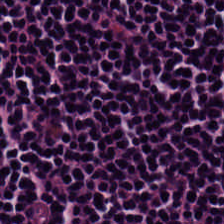Stain: H&E stain.
Tissue class: lymphocytic infiltrate.
